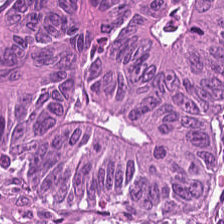H&E — Classification — tumor epithelium.
